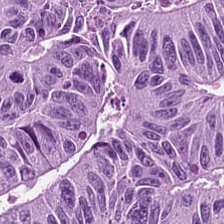Hematoxylin-and-eosin stained section. Formalin-fixed paraffin-embedded section. Showing colorectal adenocarcinoma epithelium.
